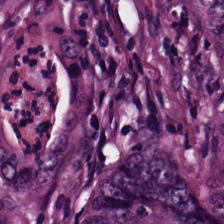Hematoxylin and eosin.
Classification — tumor epithelium.
